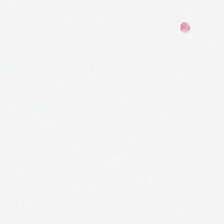Stain: hematoxylin-and-eosin stained section.
Classification: empty background.
